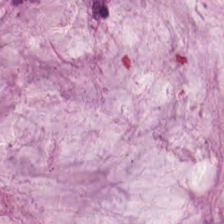Stain: H&E-stained tissue section.
Resolution: 0.5 µm per pixel.
Predominant tissue: mucus.
